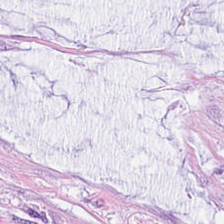Finding — mucus.
